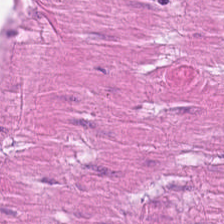FFPE; 0.5 µm per pixel; H&E — Muscularis.
